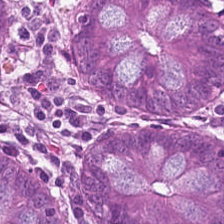224×224 pixel tile; hematoxylin-and-eosin stained section. Q: Classify this patch.
A: Normal colonic mucosa.
